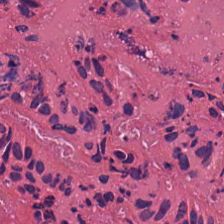Q: What tissue is shown?
A: It is necrotic debris.
